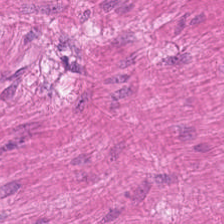224×224 pixel tile · hematoxylin and eosin — This patch shows muscularis.
